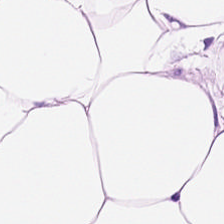20× equivalent magnification · hematoxylin-and-eosin stained section · FFPE — Q: What is the predominant tissue type?
A: The field shows adipocytes.
